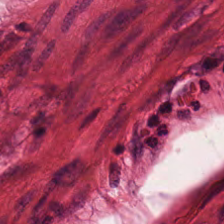Finding — smooth-muscle tissue.
